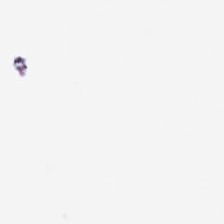Stain: H&E-stained tissue section.
Content: no tissue.
